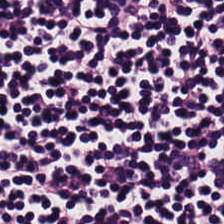Hematoxylin and eosin. Tissue — lymphocyte aggregate.
